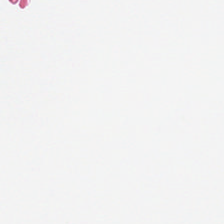H&E-stained tissue section. No tissue present; background only.
